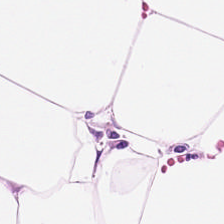Hematoxylin-and-eosin section: adipocytes.
